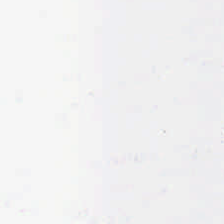H&E-stained tissue section — Content: background.
